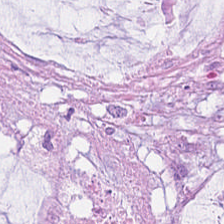20× equivalent magnification · WSI patch · hematoxylin-and-eosin stained section.
Mucin.
